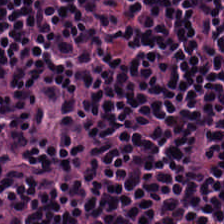Hematoxylin-and-eosin stained section.
Tissue class: lymphoid infiltrate.
